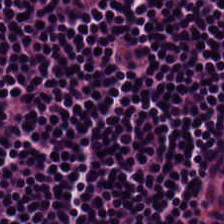Whole-slide-image patch; hematoxylin and eosin — Q: What is the predominant tissue type?
A: It is lymphocyte aggregate.
